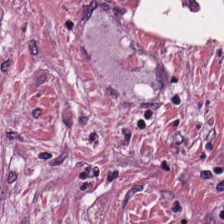H&E · 224×224 px tile · 20× equivalent magnification. The predominant tissue is tumor-associated stroma.
